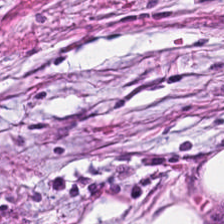Stain: hematoxylin and eosin.
Tile size: 224×224 pixel tile.
Classification: tumor stroma.
